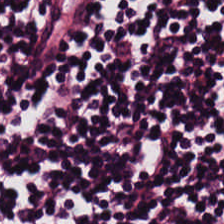H&E-stained tissue section · 224×224 px patch.
Q: Identify the tissue.
A: This is lymphoid infiltrate.
